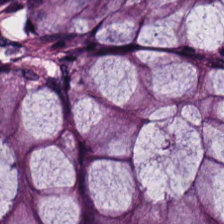H&E-stained tissue section. FFPE tissue section. Predominant tissue = normal colonic mucosa.
